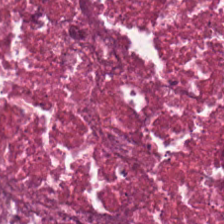Hematoxylin-and-eosin section: necrotic debris.
